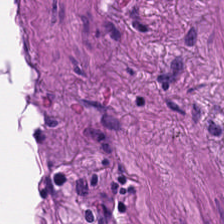H&E-stained tissue section.
Tissue class: muscularis.
